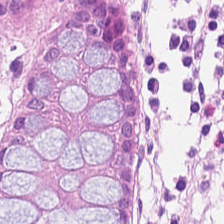H&E. The predominant tissue is normal colonic mucosa.
